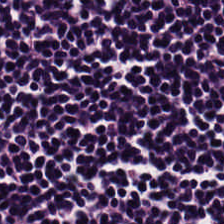Impression → lymphocytes.
